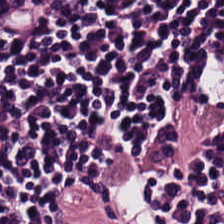Hematoxylin and eosin. Showing lymphocyte aggregate.
